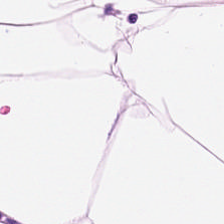Impression → adipose.
